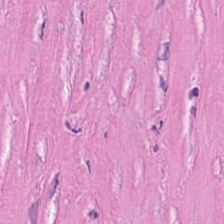Classification — desmoplastic stroma.
